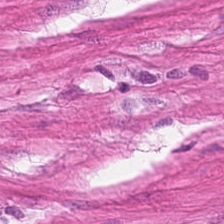Finding — smooth-muscle tissue.
